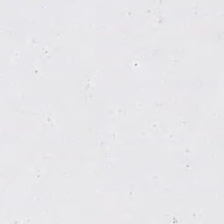0.5 microns per pixel · hematoxylin and eosin. Q: Classify this patch.
A: The field shows empty background.
